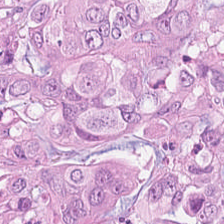224×224 px tile. 20× equivalent magnification. Hematoxylin and eosin. Q: What is shown here?
A: Colorectal adenocarcinoma.
